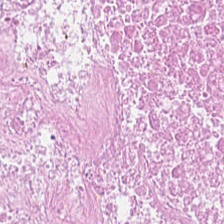H&E-stained tissue section showing debris.
